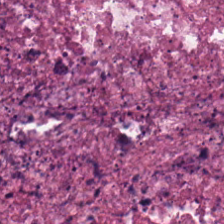Stain: H&E stain.
Predominant tissue: cellular debris.
